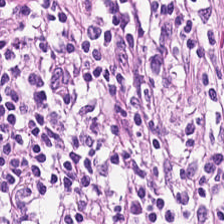Stain: H&E.
Tissue: lymphocytes.
